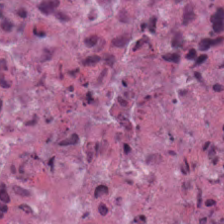Tissue: cellular debris.
